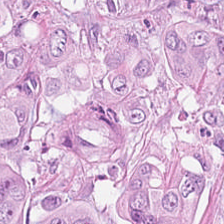224×224 pixel tile. H&E-stained tissue section. Brightfield. Q: What tissue is shown?
A: The field shows colorectal adenocarcinoma epithelium.
